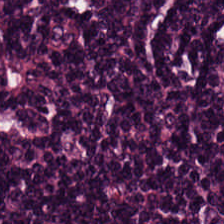H&E stain.
The tissue class is lymphocyte aggregate.
